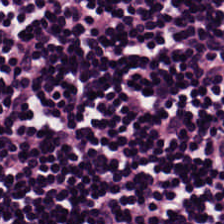The predominant tissue is lymphocyte aggregate.
